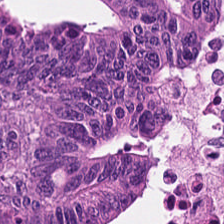224×224 px patch · H&E-stained tissue section.
{"tissue_type": "tumor epithelium"}
